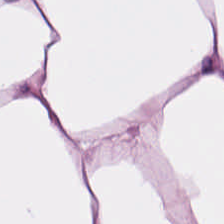FFPE tissue section · hematoxylin-and-eosin stained section — {"tissue_type": "adipose tissue"}
